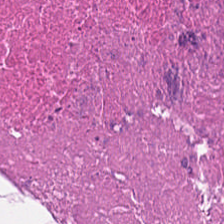{"tissue_type": "necrotic debris"}
